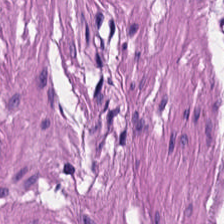H&E patch showing smooth muscle.
